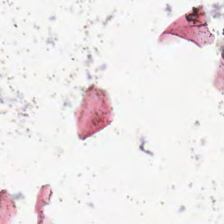H&E stain — Impression — background.
